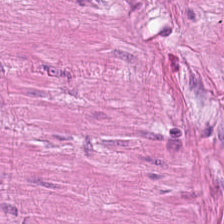Hematoxylin-and-eosin section: muscularis.
